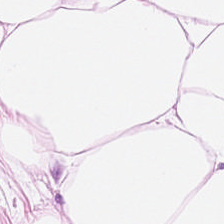Stain: H&E-stained tissue section.
Classification: adipose.
